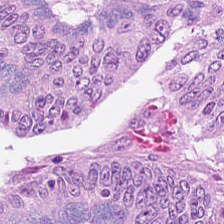Finding — adenocarcinoma.
